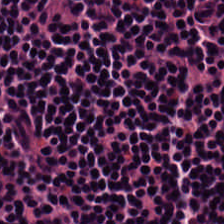Hematoxylin-and-eosin section: lymphocytes.
